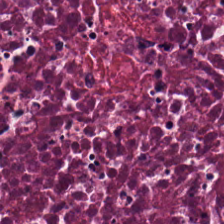H&E-stained tissue section — Q: What is shown here?
A: Debris.
